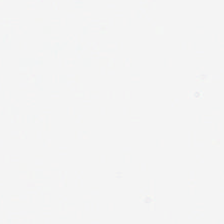Histology — background (no tissue).
